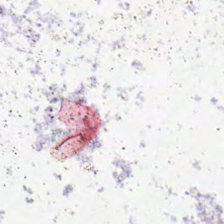H&E-stained tissue section — Q: What is shown in this field?
A: This is background.
